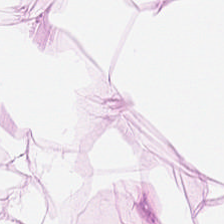Hematoxylin and eosin. {"tissue_type": "adipose tissue"}
